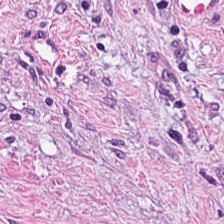Stain: H&E stain.
Tissue type: tumor stroma.
